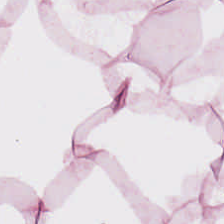224×224 px tile. Whole-slide-image patch. H&E stain. Showing adipose tissue.
